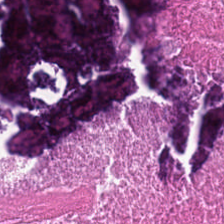Stain: hematoxylin and eosin.
Predominant tissue: debris.
